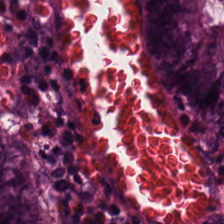H&E-stained tissue section showing non-neoplastic colon mucosa.
